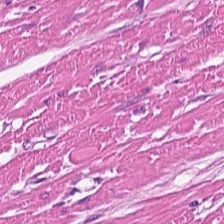Stain: hematoxylin and eosin.
Predominant tissue: smooth-muscle tissue.
